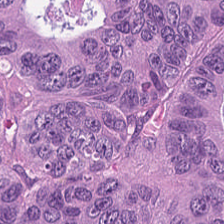Stain: H&E-stained tissue section.
Tissue: colorectal adenocarcinoma epithelium.
